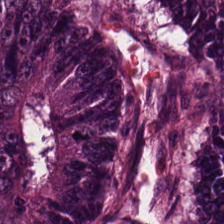0.5 µm/px; hematoxylin-and-eosin stained section.
Q: Classify this patch.
A: Colorectal adenocarcinoma epithelium.
